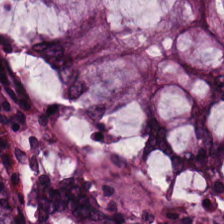Hematoxylin and eosin; FFPE tissue section. Histology — non-neoplastic colon mucosa.
